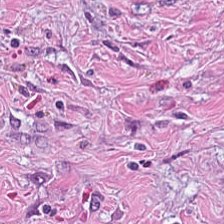Tissue type — desmoplastic stroma.
